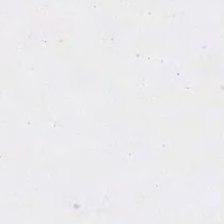H&E; WSI patch — Field content = background (no tissue).
